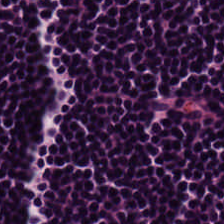Impression → lymphocytes.
